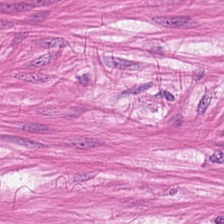H&E stain.
Predominantly smooth-muscle tissue.
